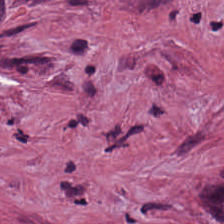H&E stain.
The predominant tissue is cancer-associated stroma.
